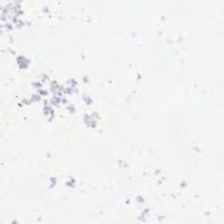H&E-stained tissue section.
Empty field — empty background.
